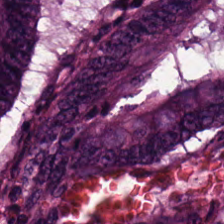H&E · 224×224 pixel tile.
This field is colorectal adenocarcinoma epithelium.
